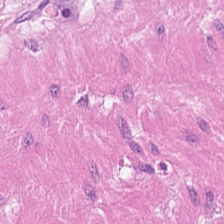Hematoxylin and eosin. FFPE tissue section.
{"tissue_type": "smooth-muscle tissue"}
